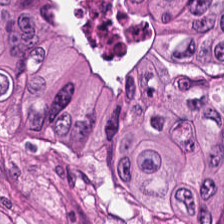Stain: H&E-stained tissue section.
Resolution: 0.5 microns per pixel.
Tissue type: tumor epithelium.
